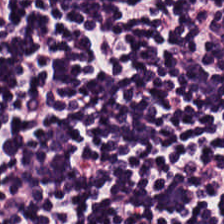Tissue = lymphocyte aggregate.
